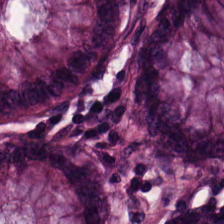Stain: H&E-stained tissue section.
Tile size: 224×224 pixel tile.
Tissue class: normal colonic mucosa.
